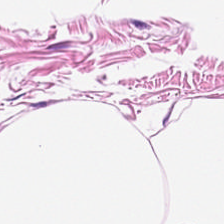Hematoxylin and eosin — This patch shows adipose.
